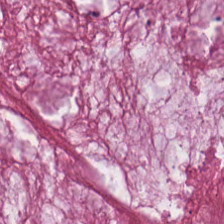H&E stain — The predominant tissue is mucus.
